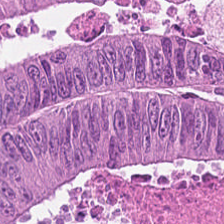Hematoxylin and eosin · 224×224 px patch. Predominant tissue — colorectal adenocarcinoma.
